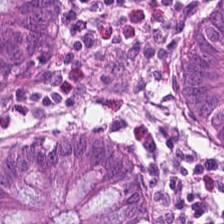H&E-stained tissue section · 224×224 px tile · brightfield. This field is normal colonic mucosa.
